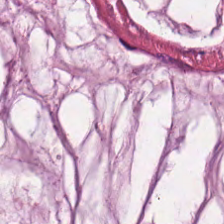Stain: H&E.
Tile size: 224×224 px tile.
Tissue: mucus.
